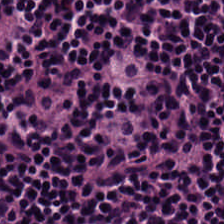FFPE tissue section; H&E. {"tissue_type": "lymphocyte aggregate"}
